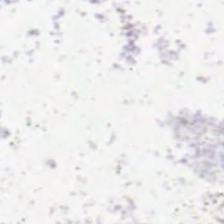H&E.
Background — no tissue in this field.
